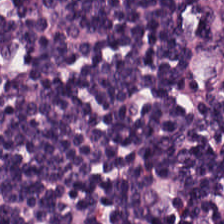H&E stain; FFPE tissue section.
The tissue here is lymphocytes.
